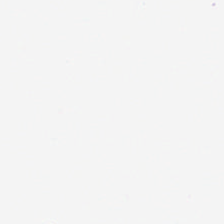H&E; 20× equivalent magnification — Histology — background.
